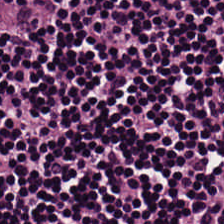H&E-stained tissue section. 0.5 µm per pixel — The tissue here is lymphocytes.
